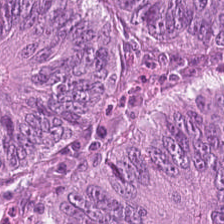H&E. Predominant tissue: malignant epithelium.
